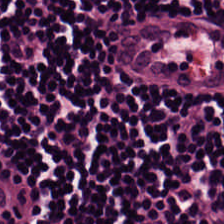H&E; 0.5 microns per pixel; whole-slide-image patch — Q: What is the predominant tissue type?
A: It is lymphocyte aggregate.
